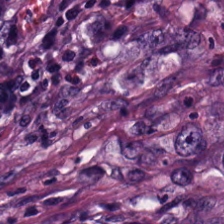H&E — Predominant tissue — lymphocytic infiltrate.
